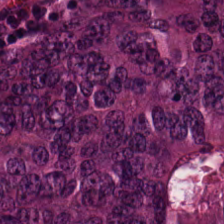Stain: H&E.
Acquisition: whole-slide-image patch.
Preparation: formalin-fixed paraffin-embedded section.
Classification: colorectal adenocarcinoma.
